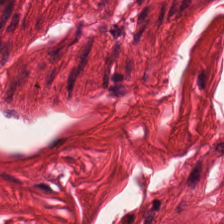H&E — muscularis.
